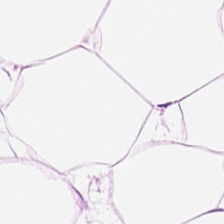Hematoxylin and eosin.
The tissue is fat tissue.
